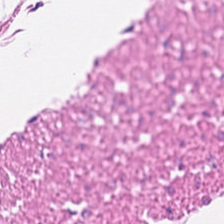FFPE; H&E stain; 224×224 pixel tile. Predominantly smooth-muscle tissue.
